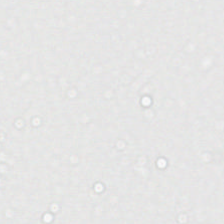Hematoxylin-and-eosin stained section. Q: What is shown in this field?
A: This is background (no tissue).
